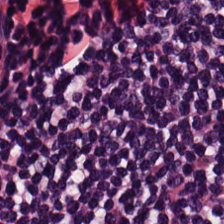Predominant tissue = lymphoid infiltrate.
